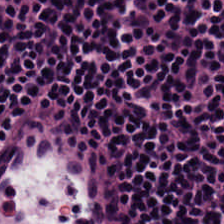Hematoxylin-and-eosin stained section — Classification = lymphocytic infiltrate.
